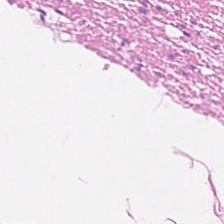Hematoxylin and eosin · 0.5 µm/px.
Q: Identify the tissue.
A: This is muscularis.
